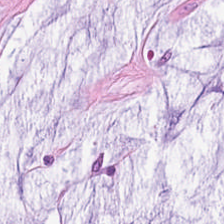The tissue is mucus.
